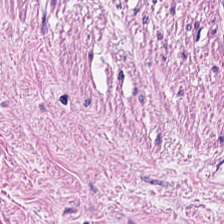H&E stain. Predominant tissue = smooth muscle.
